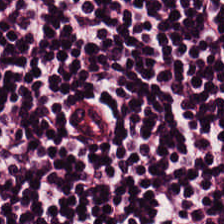H&E — lymphocytes.
